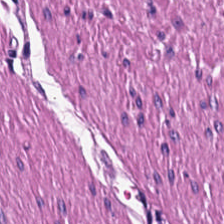H&E-stained tissue section.
Q: What tissue type is shown here?
A: The field shows muscularis.
